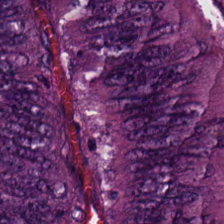H&E-stained tissue section — Impression — malignant epithelium.
